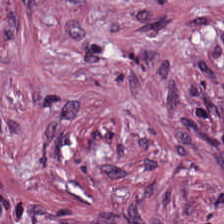Tumor-associated stroma.
